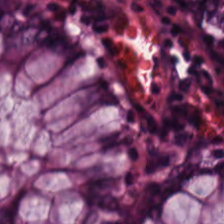Hematoxylin-and-eosin stained section. Q: Identify the tissue.
A: This is normal colon mucosa.
